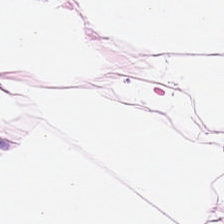Showing fat tissue.
